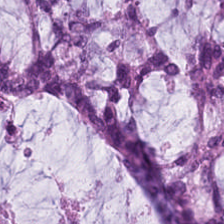Hematoxylin and eosin. 224×224 px tile — Histology — extracellular mucin.
